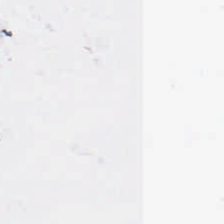Empty background.
